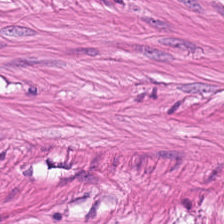Formalin-fixed paraffin-embedded section · H&E-stained tissue section · 224×224 pixel tile.
Muscularis.
